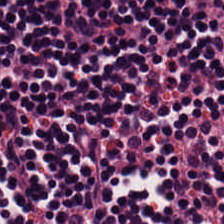Whole-slide-image patch. Hematoxylin-and-eosin stained section. Predominant tissue: lymphocyte aggregate.
